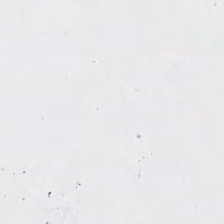Hematoxylin and eosin — {"content": "background (no tissue)"}
